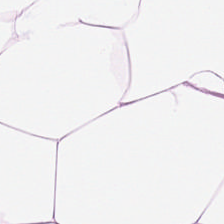Stain: hematoxylin and eosin.
Acquisition: whole-slide-image patch.
Tissue: adipose tissue.
